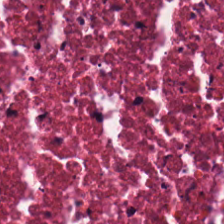H&E-stained tissue section — Q: What type of tissue is this?
A: Cellular debris.
